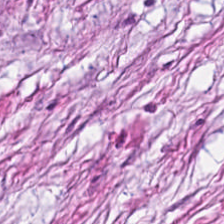This field is tumor stroma.
